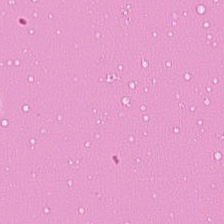Brightfield microscopy; H&E; 224×224 pixel tile — Finding → debris.
